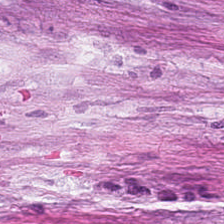Brightfield · H&E-stained tissue section — The tissue class is tumor stroma.
